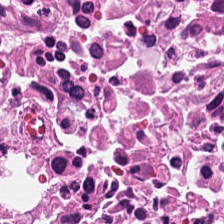Hematoxylin-and-eosin stained section; 224×224 px tile.
Showing necrotic debris.
